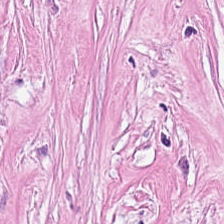H&E. 224×224 px tile — The tissue here is tumor-associated stroma.
